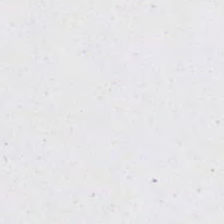Hematoxylin-and-eosin stained section.
Histology — empty background.
